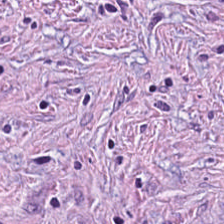Tissue: desmoplastic stroma.
